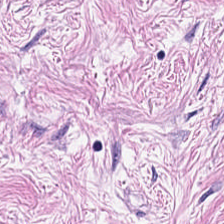Stain: H&E stain.
Acquisition: whole-slide-image patch.
Tissue type: cancer-associated stroma.
